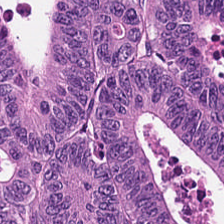H&E. The predominant tissue is malignant epithelium.
